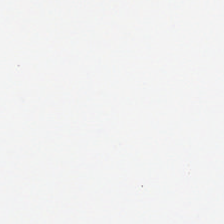Q: What is shown in this field?
A: The field shows background.
